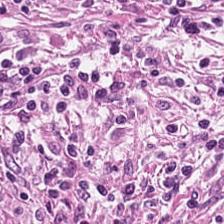Hematoxylin-and-eosin stained section; whole-slide-image patch.
Q: What is shown in this field?
A: Tumor stroma.
